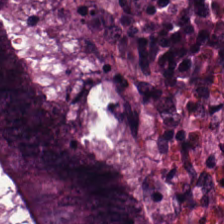Hematoxylin-and-eosin stained section.
Q: What tissue is shown?
A: It is colorectal adenocarcinoma.
